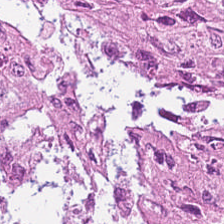H&E — colorectal adenocarcinoma epithelium.
